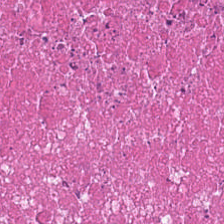The predominant tissue is cellular debris.
